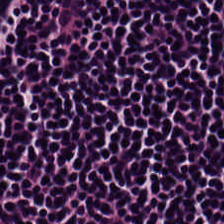20× equivalent magnification; formalin-fixed paraffin-embedded section; H&E-stained tissue section — Q: What does this patch show?
A: Lymphocytic infiltrate.
